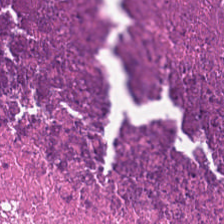The predominant tissue is cellular debris.
